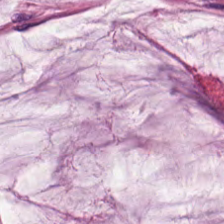The tissue class is mucus.
